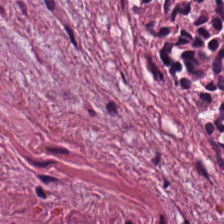H&E — This field is desmoplastic stroma.
